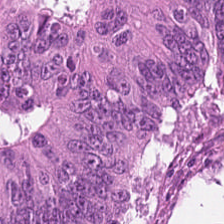{"tissue_type": "adenocarcinoma"}
